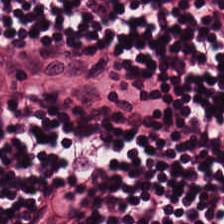Hematoxylin and eosin.
Classification: lymphocyte aggregate.
